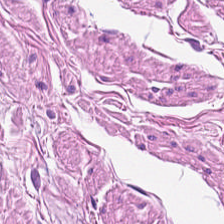Brightfield; hematoxylin and eosin. Predominantly smooth-muscle tissue.
